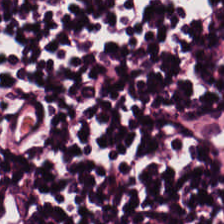The predominant tissue is lymphoid infiltrate.
